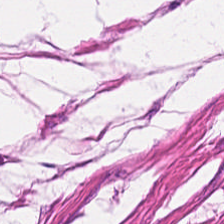H&E.
Predominant tissue = smooth-muscle tissue.
